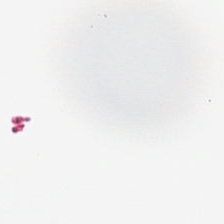Brightfield microscopy · H&E-stained tissue section · 0.5 µm per pixel.
No tissue present; background only.
